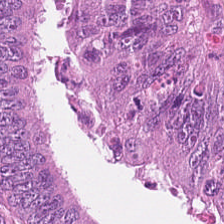H&E-stained tissue section showing colorectal adenocarcinoma.
